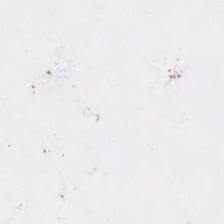Stain: H&E stain.
Classification: empty background.
